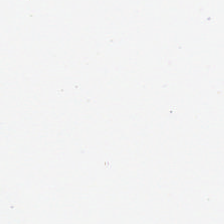{"content": "background"}
